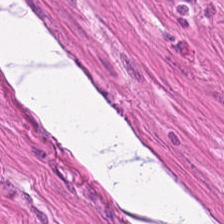H&E stain. Formalin-fixed paraffin-embedded section.
Finding → smooth-muscle tissue.
